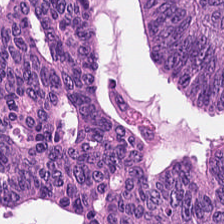H&E · 224×224 px tile — Predominantly colorectal adenocarcinoma.
